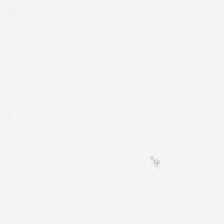224×224 px patch; WSI patch; hematoxylin and eosin. No tissue.
